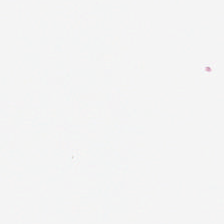0.5 µm per pixel; hematoxylin and eosin.
Field content = background.
